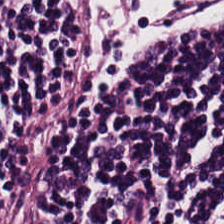H&E-stained tissue section.
{"tissue_type": "lymphocyte aggregate"}
